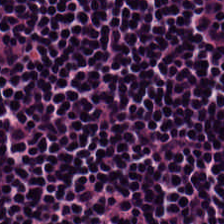FFPE; hematoxylin-and-eosin stained section — {"tissue_type": "lymphocytic infiltrate"}
